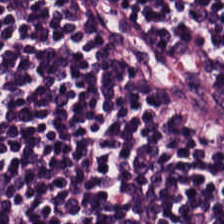H&E-stained tissue section — Q: What is shown in this field?
A: Lymphocytic infiltrate.
